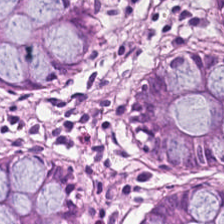Hematoxylin-and-eosin stained section; brightfield microscopy; 224×224 pixel tile. Tissue class: normal colonic mucosa.
